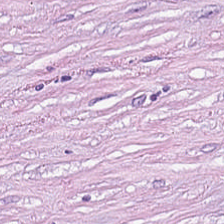0.5 µm per pixel · H&E stain — The tissue here is desmoplastic stroma.
